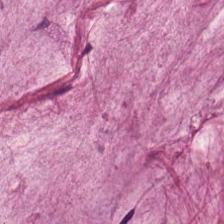Hematoxylin-and-eosin stained section — Q: What is shown here?
A: This is mucus.
